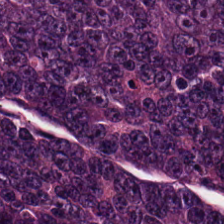0.5 microns per pixel; H&E. Showing colorectal adenocarcinoma epithelium.
